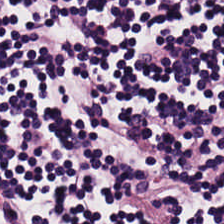H&E-stained tissue section — This patch shows lymphocyte aggregate.
